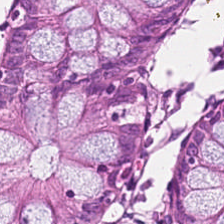Hematoxylin and eosin · formalin-fixed paraffin-embedded section · 0.5 microns per pixel. Q: Classify this patch.
A: This is normal colonic mucosa.
